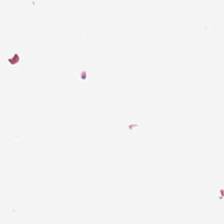H&E stain.
This patch shows no tissue.
